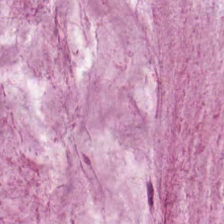0.5 µm per pixel. WSI patch. Hematoxylin and eosin. Q: Identify the tissue.
A: The field shows mucin.
